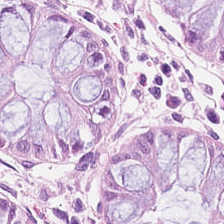H&E-stained tissue section.
Predominant tissue — normal colon mucosa.
